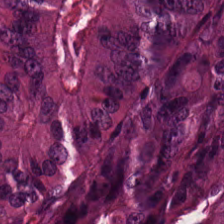Hematoxylin and eosin. Showing adenocarcinoma.
